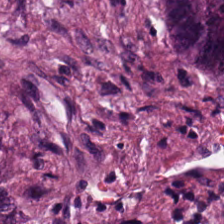Tissue: colorectal adenocarcinoma.
